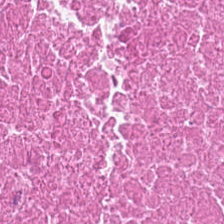This field is debris.
